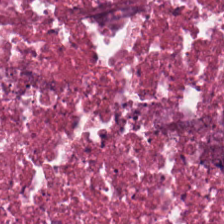Hematoxylin-and-eosin section: necrotic debris.
